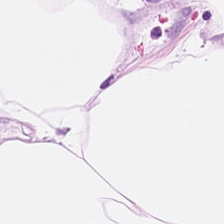H&E — Adipose.
